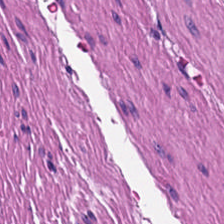This patch shows smooth muscle.
